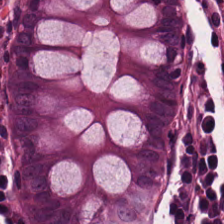Whole-slide-image patch · FFPE · H&E.
Showing benign colonic mucosa.
